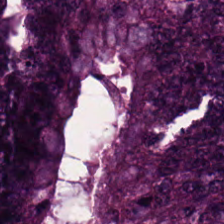Whole-slide-image patch; H&E stain.
The tissue here is colorectal adenocarcinoma epithelium.
